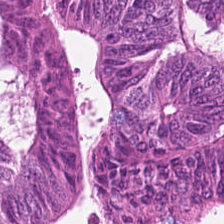H&E-stained tissue section. FFPE.
The tissue here is tumor epithelium.
